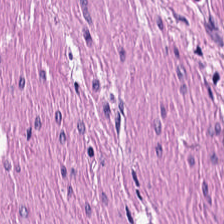Hematoxylin-and-eosin stained section · 0.5 µm per pixel.
Classification — smooth-muscle tissue.
